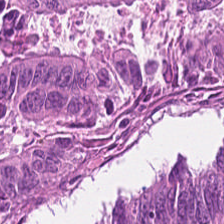Stain: hematoxylin and eosin.
Preparation: FFPE.
Predominant tissue: colorectal adenocarcinoma epithelium.
